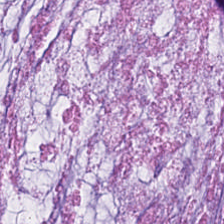H&E-stained tissue section.
Showing extracellular mucin.
